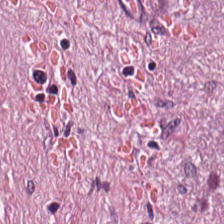H&E-stained tissue section — This patch shows cancer-associated stroma.
